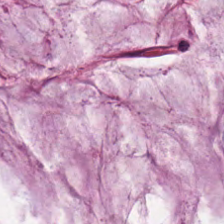WSI patch · H&E — This patch shows mucus.
